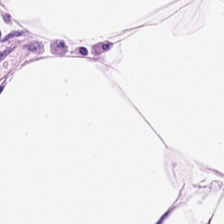Hematoxylin-and-eosin stained section. The tissue here is adipocytes.
